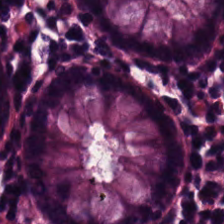H&E stain; FFPE.
Classification — normal colon mucosa.
